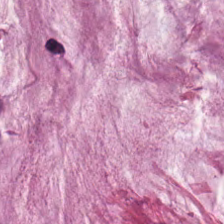Whole-slide-image patch. Hematoxylin and eosin. 0.5 µm/px. The predominant tissue is mucin.
